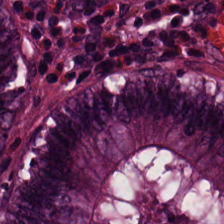0.5 microns per pixel · H&E-stained tissue section — This field is non-neoplastic colon mucosa.
